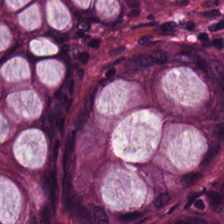H&E.
The predominant tissue is benign colonic mucosa.
